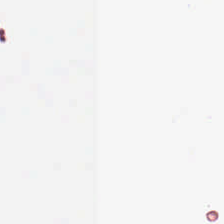H&E stain. Background — no tissue in this field.
